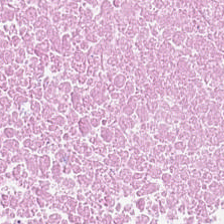H&E stain; 224×224 px tile.
This field is necrotic debris.
